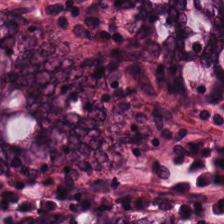FFPE · H&E-stained tissue section. Histology → normal colonic mucosa.
